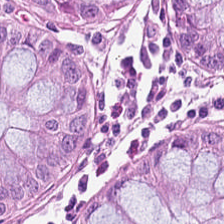Hematoxylin and eosin; 224×224 pixel tile; whole-slide-image patch — {"tissue_type": "non-neoplastic colon mucosa"}
